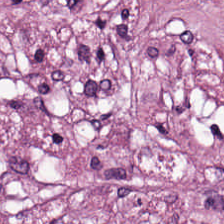0.5 µm/px · H&E stain · brightfield — This field is tumor stroma.
